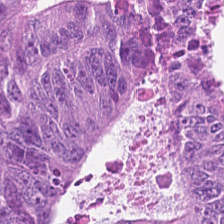224×224 px tile; hematoxylin-and-eosin stained section — Classification: adenocarcinoma.
